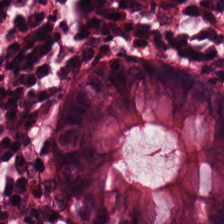Hematoxylin-and-eosin stained section. Classification — non-neoplastic colon mucosa.
